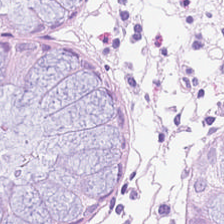{"tissue_type": "benign colonic mucosa"}
